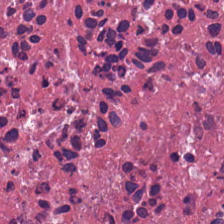Hematoxylin-and-eosin stained section. 224×224 px tile. {"tissue_type": "debris"}
